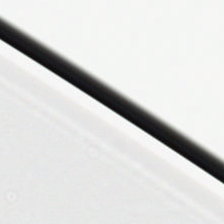Empty field — background (no tissue).
